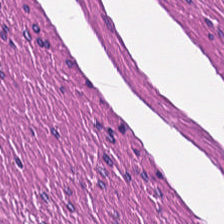Histology → smooth-muscle tissue.
